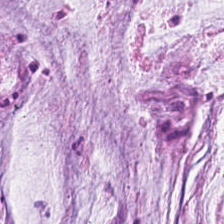Hematoxylin-and-eosin stained section. Tissue = extracellular mucin.
